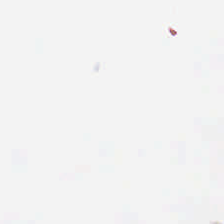H&E-stained tissue section; brightfield — Classification — no tissue.
